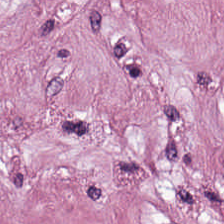224×224 px tile · formalin-fixed paraffin-embedded section · H&E-stained tissue section. Tissue type: tumor-associated stroma.
